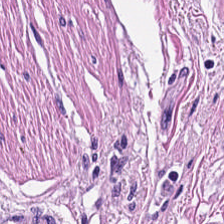Impression → smooth muscle.
